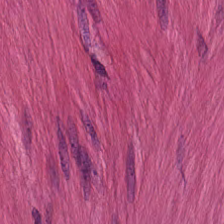Hematoxylin and eosin · FFPE. Muscularis.
